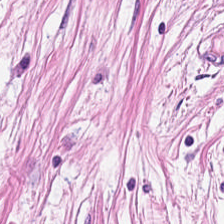H&E stain.
Q: Identify the tissue.
A: This is tumor-associated stroma.
